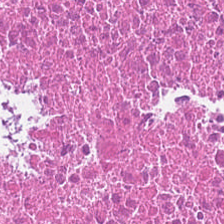H&E-stained tissue section.
The predominant tissue is necrotic debris.
